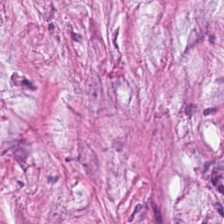H&E; FFPE tissue section — The tissue is tumor stroma.
